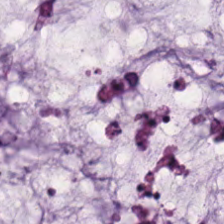H&E-stained tissue section. This patch shows mucin.
